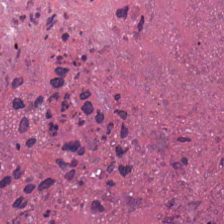Q: What is shown in this field?
A: This is debris.
